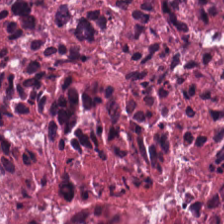H&E; brightfield microscopy.
Q: What is shown here?
A: It is necrotic debris.
